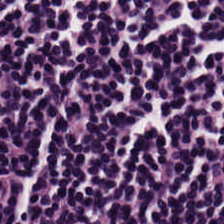H&E-stained tissue section — Q: What tissue type is shown here?
A: It is lymphocytes.
